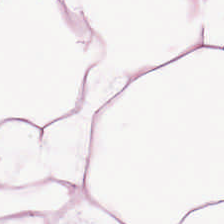Q: What is the predominant tissue type?
A: The field shows adipose tissue.
